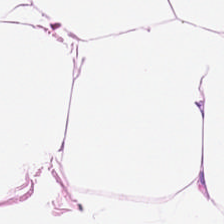224×224 pixel tile · hematoxylin-and-eosin stained section · 0.5 µm/px. The tissue is fat tissue.
